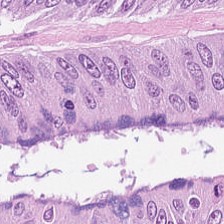Hematoxylin-and-eosin stained section. The predominant tissue is malignant epithelium.
